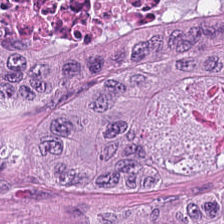The predominant tissue is colorectal adenocarcinoma epithelium.
